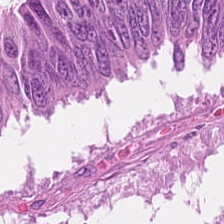Tissue class: tumor epithelium.
